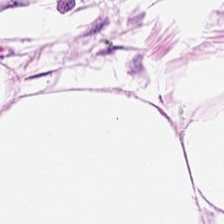Hematoxylin-and-eosin stained section.
Predominantly fat tissue.
